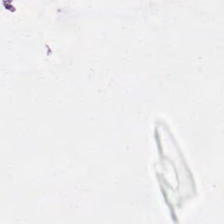Stain: hematoxylin-and-eosin stained section.
Content: background.
